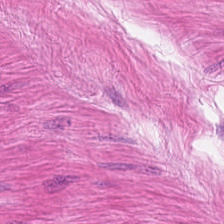0.5 microns per pixel · hematoxylin-and-eosin stained section. Classification — smooth muscle.
